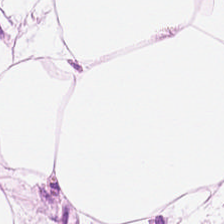Stain: H&E.
Resolution: 0.5 µm per pixel.
Tissue: adipose tissue.
